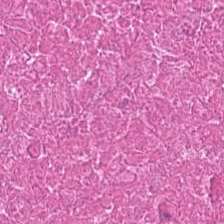Hematoxylin-and-eosin stained section. The classification is cellular debris.
